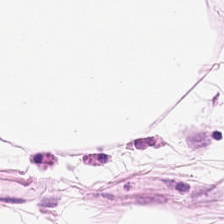Hematoxylin-and-eosin stained section. {"tissue_type": "adipocytes"}
